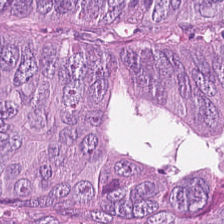Hematoxylin-and-eosin stained section; brightfield microscopy — Tissue type = colorectal adenocarcinoma.
